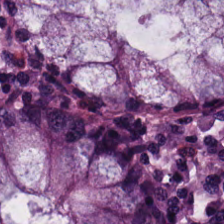Stain: hematoxylin-and-eosin stained section.
Tissue class: normal colonic mucosa.
